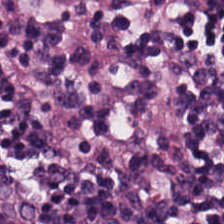H&E-stained tissue section. Finding — lymphocytic infiltrate.
